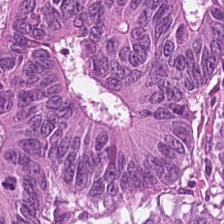Hematoxylin and eosin.
Histology → colorectal adenocarcinoma.
